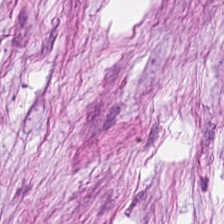The classification is cancer-associated stroma.
